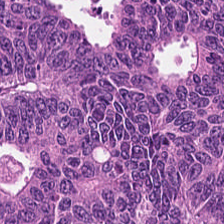224×224 px tile · hematoxylin-and-eosin stained section — The tissue is adenocarcinoma.
